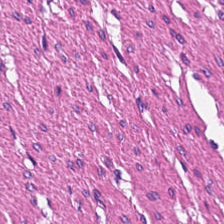The predominant tissue is muscularis.
